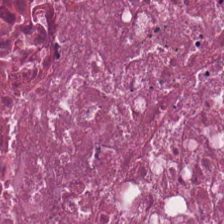224×224 px patch. Hematoxylin and eosin — Finding → cellular debris.
